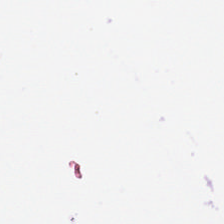Hematoxylin and eosin — Field content: empty background.
